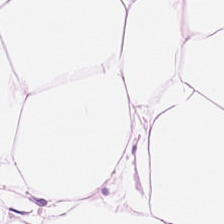20× equivalent magnification · H&E · formalin-fixed paraffin-embedded section.
Histology → fat tissue.
